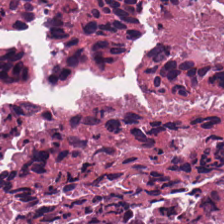0.5 µm/px; H&E — Q: Classify this patch.
A: The field shows necrotic debris.
